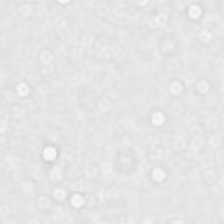224×224 px tile · whole-slide-image patch · H&E stain.
Empty field — background.
